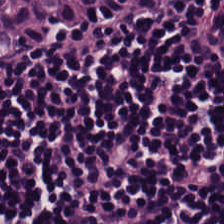Hematoxylin-and-eosin stained section — This field is lymphoid infiltrate.
